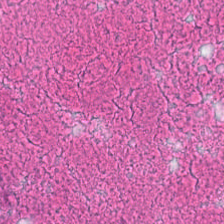Stain: H&E-stained tissue section.
Tissue: debris.
